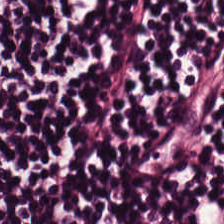The tissue class is lymphocytes.
